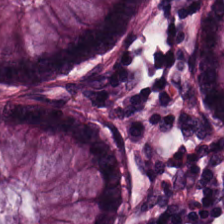H&E.
Normal colon mucosa.
